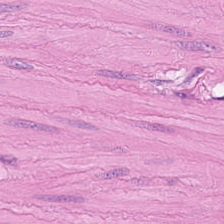Stain: H&E stain.
Tissue class: muscularis.
